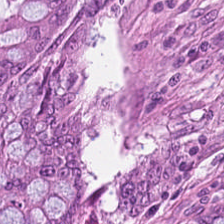Hematoxylin and eosin — Tissue = colorectal adenocarcinoma epithelium.
